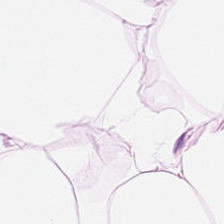H&E · 224×224 pixel tile — Q: What is shown in this field?
A: This is adipose tissue.
